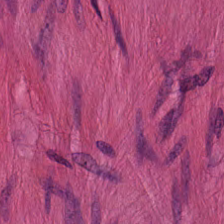H&E-stained section; the field shows muscularis.
